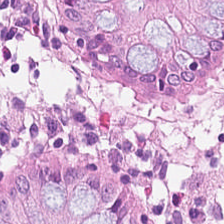FFPE. H&E stain.
This field is benign colonic mucosa.
